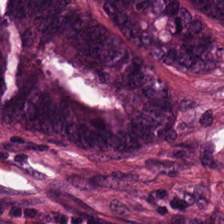H&E-stained tissue section. Showing colorectal adenocarcinoma epithelium.
